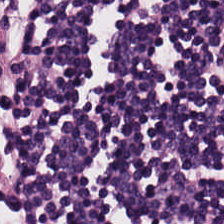Q: What is shown here?
A: This is lymphocyte aggregate.
